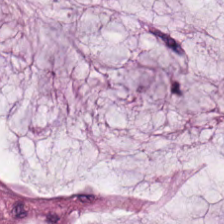H&E stain.
Q: What is the predominant tissue type?
A: Mucus.
